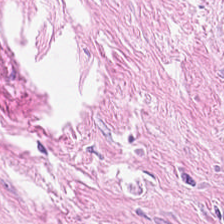H&E. Cancer-associated stroma.
